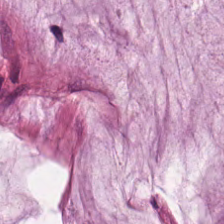Hematoxylin-and-eosin stained section — The predominant tissue is mucin.
